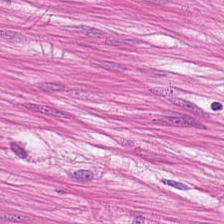Hematoxylin and eosin — This patch shows smooth muscle.
